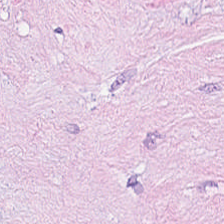Hematoxylin and eosin. This patch shows desmoplastic stroma.
